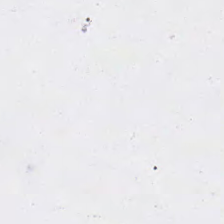H&E-stained tissue section. Q: What is shown in this field?
A: The field shows background.
